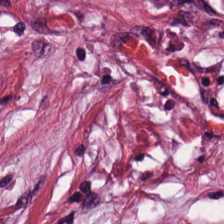Classification: desmoplastic stroma.
